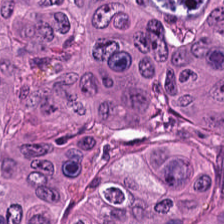H&E.
{"tissue_type": "malignant epithelium"}
